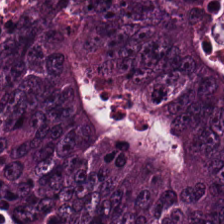Hematoxylin-and-eosin stained section. 224×224 px tile.
Q: What is shown here?
A: It is tumor epithelium.
